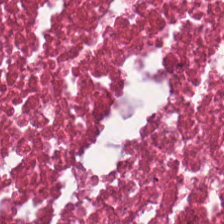H&E; WSI patch.
Q: What is shown here?
A: The field shows cellular debris.
